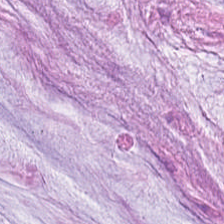H&E patch showing mucin.
